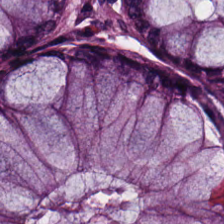H&E.
Predominantly normal colonic mucosa.
